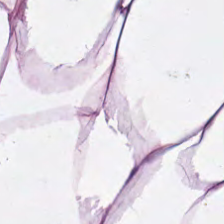0.5 µm/px · 224×224 pixel tile · hematoxylin-and-eosin stained section.
Showing fat tissue.
